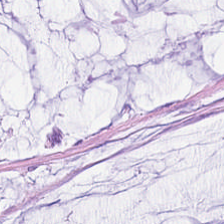Stain: H&E stain.
Tissue class: mucin.
